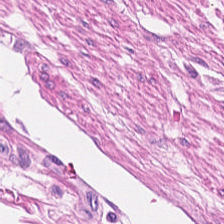Predominantly smooth-muscle tissue.
